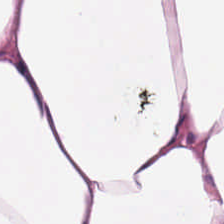224×224 px patch. H&E-stained tissue section. Brightfield.
This patch shows adipocytes.
